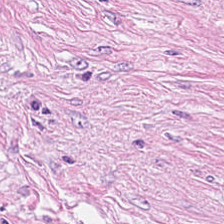H&E-stained tissue section — Classification: tumor-associated stroma.
